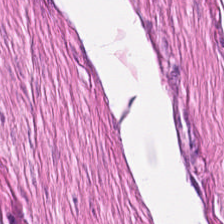Hematoxylin-and-eosin stained section. The tissue here is muscularis.
